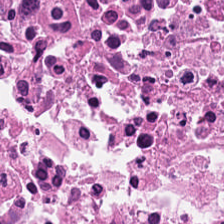H&E stain. Histology → necrotic debris.
